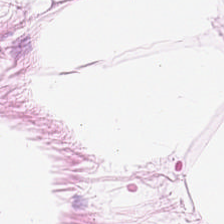Stain: H&E.
Tissue: adipose.
